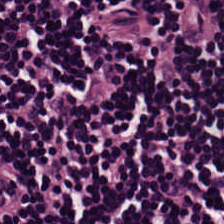Stain: hematoxylin and eosin.
Tissue type: lymphocytic infiltrate.
